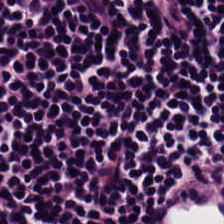Hematoxylin-and-eosin stained section — Finding → lymphocyte aggregate.
